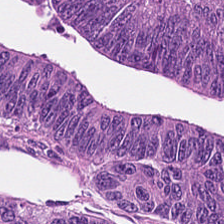0.5 microns per pixel · H&E stain — Q: What is shown here?
A: It is colorectal adenocarcinoma.
